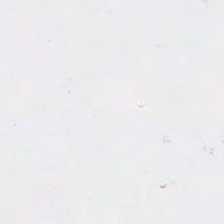Q: What is shown here?
A: Background.
